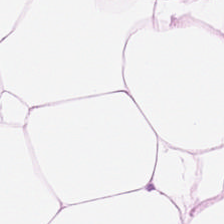Stain: H&E-stained tissue section.
Acquisition: brightfield.
Predominant tissue: fat tissue.
